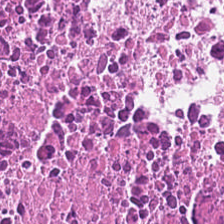Formalin-fixed paraffin-embedded section · H&E-stained tissue section — Showing necrotic debris.
